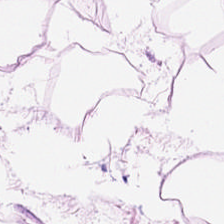0.5 µm per pixel; hematoxylin-and-eosin stained section; FFPE tissue section.
Impression → adipose tissue.
